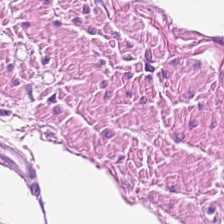Stain: H&E-stained tissue section.
Predominant tissue: smooth muscle.
